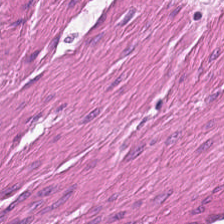224×224 px tile · brightfield · H&E stain.
This field is smooth muscle.
